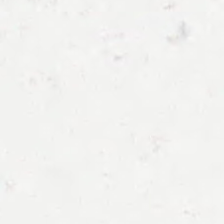H&E-stained tissue section. Field content = background (no tissue).
